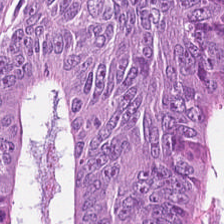224×224 px patch. Hematoxylin-and-eosin stained section — The tissue type is malignant epithelium.
